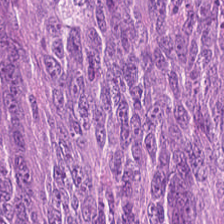Predominant tissue — malignant epithelium.
